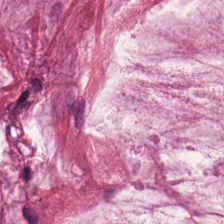224×224 px patch; H&E.
Predominant tissue — mucin.
